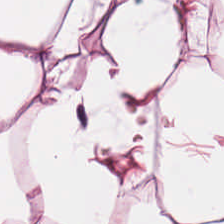224×224 px patch · 0.5 µm per pixel · hematoxylin and eosin. Predominant tissue = adipose.
